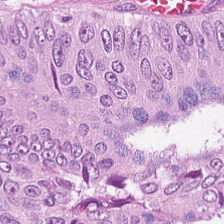H&E stain · WSI patch · 20× equivalent magnification.
Impression — colorectal adenocarcinoma.
